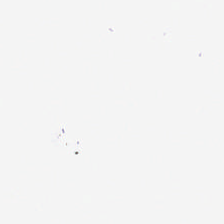H&E stain — No tissue present; background only.
